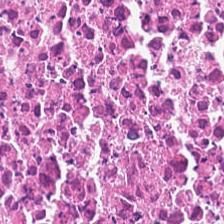The tissue here is cellular debris.
